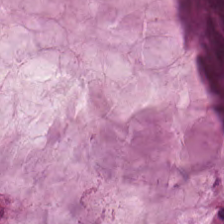Hematoxylin-and-eosin stained section.
Tissue type = mucus.
